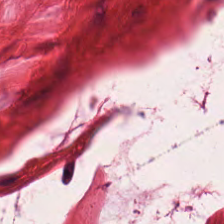Smooth-muscle tissue.
